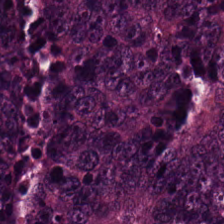Hematoxylin and eosin — Classification = colorectal adenocarcinoma epithelium.
